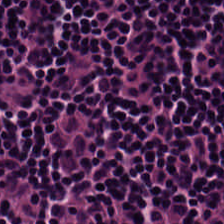Hematoxylin-and-eosin stained section — Tissue: lymphocyte aggregate.
